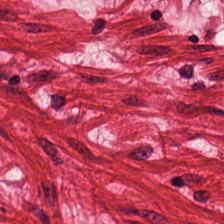The tissue type is muscularis.
